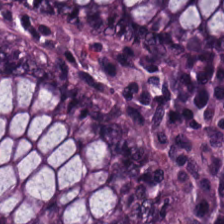0.5 microns per pixel. Hematoxylin and eosin. Brightfield.
Tissue type — benign colonic mucosa.
